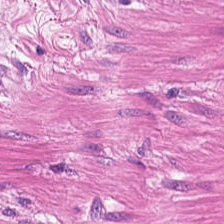Tissue = muscularis.
